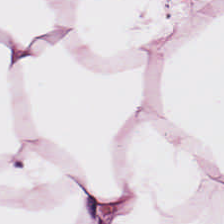Brightfield. 0.5 µm/px. Hematoxylin-and-eosin stained section. Q: What is shown here?
A: This is adipose.
